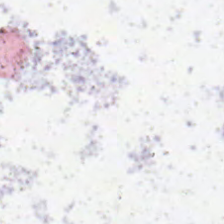FFPE; 224×224 px tile; H&E-stained tissue section.
No tissue present; background only.
